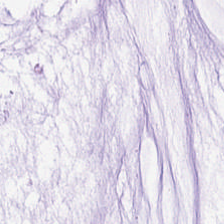20× equivalent magnification · H&E.
The classification is extracellular mucin.
